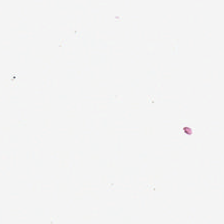Stain: hematoxylin-and-eosin stained section.
Field content: empty background.
